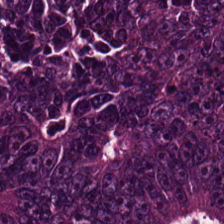Brightfield · H&E-stained tissue section — Classification — colorectal adenocarcinoma epithelium.
